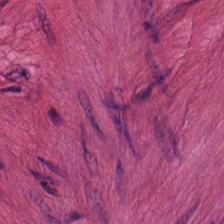{"tissue_type": "smooth-muscle tissue"}
